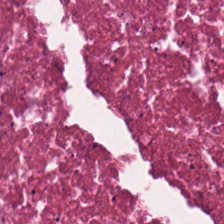224×224 px tile. Brightfield microscopy. Hematoxylin-and-eosin stained section. Q: What is shown in this field?
A: This is cellular debris.
